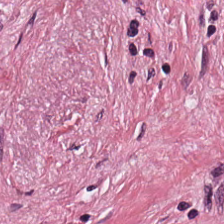0.5 µm/px · H&E-stained tissue section. This patch shows desmoplastic stroma.
